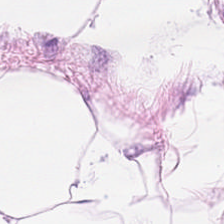Hematoxylin and eosin — This field is adipose tissue.
